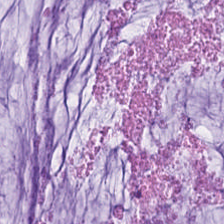WSI patch · H&E-stained tissue section. Mucus.
